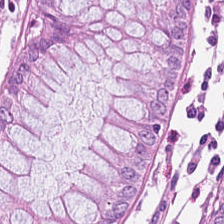Stain: hematoxylin-and-eosin stained section.
Tile size: 224×224 pixel tile.
Classification: non-neoplastic colon mucosa.
